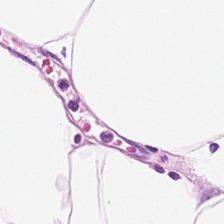224×224 px patch · hematoxylin and eosin — Showing fat tissue.
